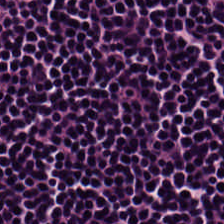224×224 pixel tile; H&E. Finding → lymphocytic infiltrate.
